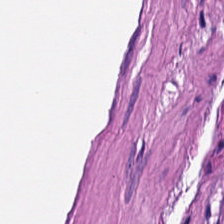H&E-stained tissue section.
Tissue type — smooth-muscle tissue.
